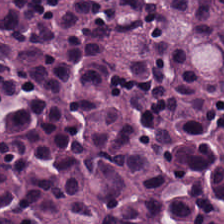Q: Identify the tissue.
A: It is lymphoid infiltrate.
